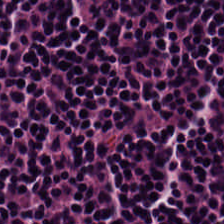WSI patch · H&E stain · 224×224 pixel tile — The predominant tissue is lymphocytic infiltrate.
